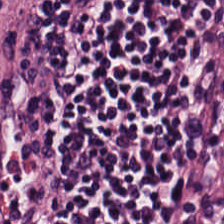Classification: lymphocytic infiltrate.
